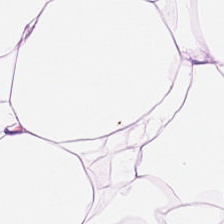Hematoxylin-and-eosin stained section. Adipose.
